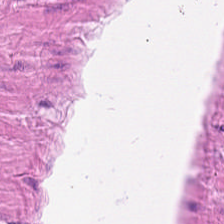Stain: hematoxylin and eosin.
Tissue class: smooth muscle.
